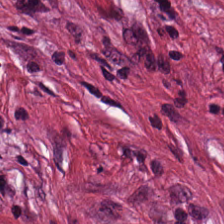H&E. Predominantly cancer-associated stroma.
